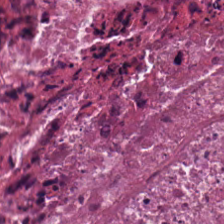0.5 µm/px · FFPE · H&E-stained tissue section.
Q: What is the predominant tissue type?
A: This is cellular debris.
